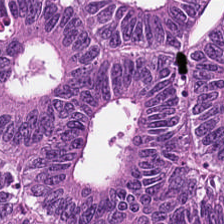H&E-stained tissue section. 224×224 px tile. Showing tumor epithelium.
